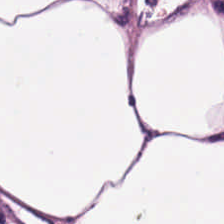H&E patch showing fat tissue.
